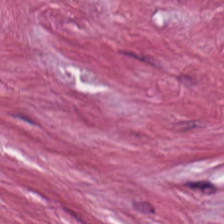H&E-stained tissue section.
The tissue here is desmoplastic stroma.
